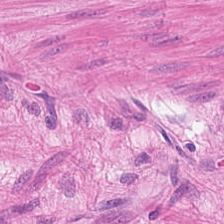224×224 px patch. H&E-stained tissue section. Whole-slide-image patch. Predominantly smooth-muscle tissue.
